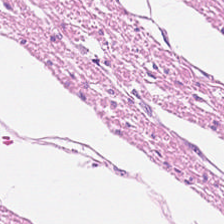H&E-stained tissue section.
Histology — muscularis.
